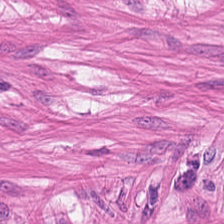Brightfield microscopy. H&E stain. The tissue here is smooth muscle.
